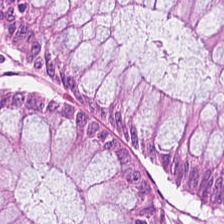Predominant tissue: normal colonic mucosa.
